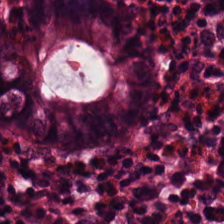H&E stain; FFPE tissue section; 0.5 µm/px. Tissue type — normal colon mucosa.
